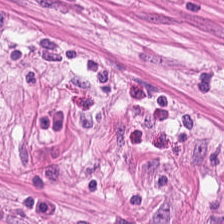H&E. {"tissue_type": "smooth muscle"}
